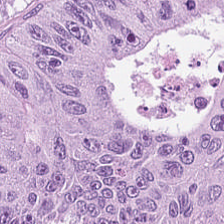Hematoxylin-and-eosin stained section.
This patch shows colorectal adenocarcinoma.
